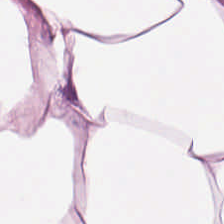0.5 microns per pixel; H&E stain.
Tissue class — fat tissue.
